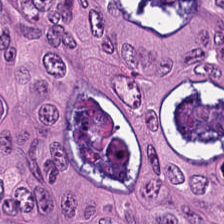H&E-stained tissue section. Formalin-fixed paraffin-embedded section. 0.5 µm per pixel.
Predominantly adenocarcinoma.
